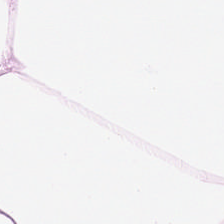224×224 px patch · hematoxylin-and-eosin stained section · formalin-fixed paraffin-embedded section.
The tissue class is adipose tissue.
